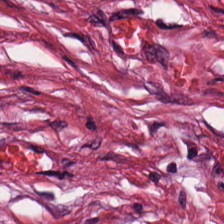Stain: hematoxylin-and-eosin stained section.
Tissue: cancer-associated stroma.
